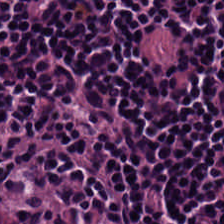Stain: hematoxylin and eosin.
Preparation: formalin-fixed paraffin-embedded section.
Tissue class: lymphocytic infiltrate.
